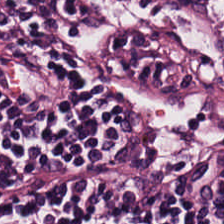Hematoxylin and eosin.
The tissue here is lymphocytic infiltrate.
